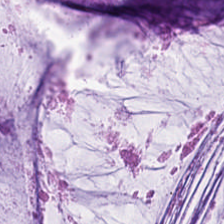Hematoxylin and eosin — Histology — extracellular mucin.
